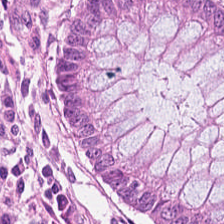Hematoxylin-and-eosin stained section — Showing normal colon mucosa.
